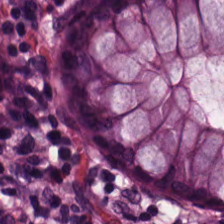Predominant tissue — normal colon mucosa.
